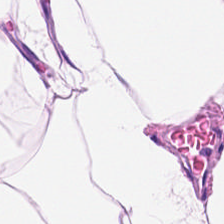H&E-stained tissue section. Q: Classify this patch.
A: Adipose.
